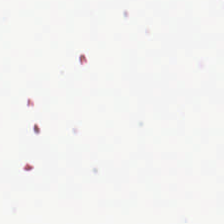Background — no tissue in this field.
